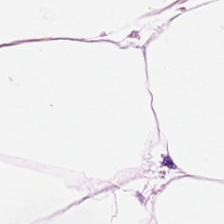Brightfield · hematoxylin-and-eosin stained section.
Tissue type: adipose tissue.
